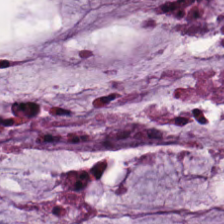Hematoxylin and eosin; 224×224 px patch.
The tissue here is mucus.
